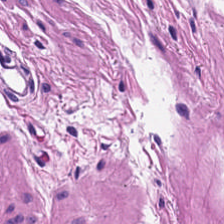Hematoxylin-and-eosin stained section; FFPE.
Predominant tissue — smooth-muscle tissue.
